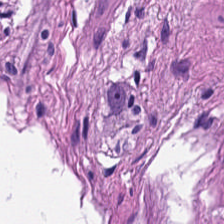Stain: H&E stain.
Tissue type: smooth-muscle tissue.
